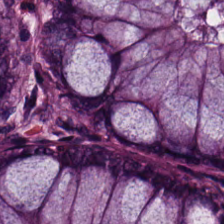Predominantly normal colon mucosa.
